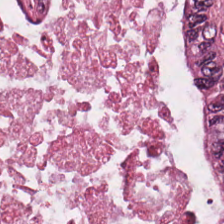0.5 µm/px · hematoxylin and eosin.
The tissue here is tumor epithelium.
